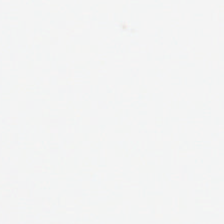H&E-stained tissue section.
Classification: empty background.
